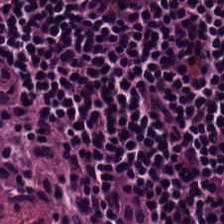Stain: hematoxylin-and-eosin stained section.
Predominant tissue: lymphocytes.
